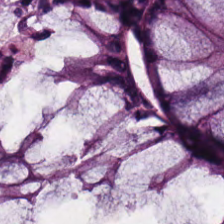H&E-stained tissue section.
Tissue class — normal colonic mucosa.
